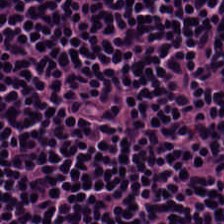Tissue: lymphoid infiltrate.
